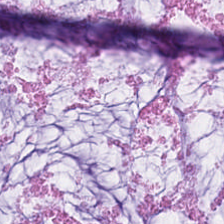Predominantly mucin.
